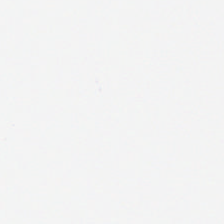WSI patch; H&E; 0.5 microns per pixel.
Histology — empty background.
